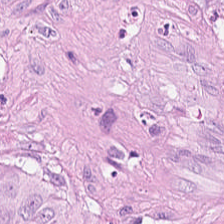Hematoxylin-and-eosin stained section · 224×224 px tile. This patch shows malignant epithelium.
